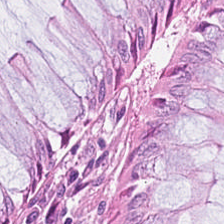Stain: H&E stain.
Predominant tissue: non-neoplastic colon mucosa.
